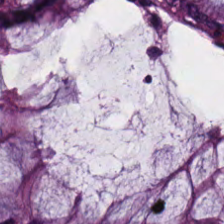Brightfield. Hematoxylin and eosin. 20× equivalent magnification — Histology — benign colonic mucosa.
